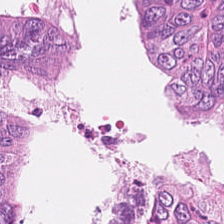Tissue = adenocarcinoma.
